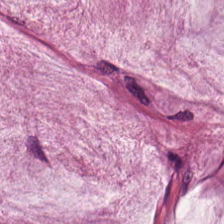WSI patch; hematoxylin and eosin. Showing mucin.
